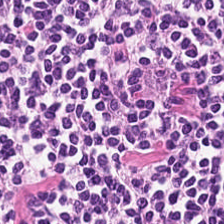Histology — lymphocytes.
